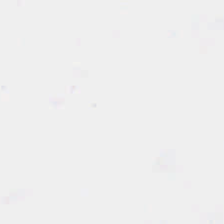FFPE tissue section; H&E. The field content is background (no tissue).
